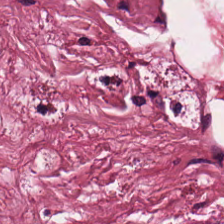224×224 pixel tile · H&E-stained tissue section.
This field is desmoplastic stroma.
